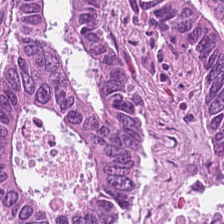Hematoxylin and eosin.
This field is adenocarcinoma.
